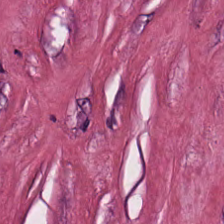224×224 px tile; hematoxylin-and-eosin stained section; 20× equivalent magnification — Classification — cancer-associated stroma.
